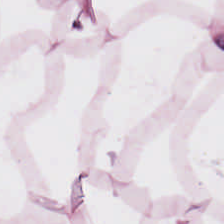H&E-stained tissue section — Tissue: adipocytes.
